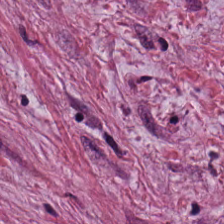Hematoxylin and eosin.
Q: What tissue is shown?
A: It is tumor-associated stroma.
